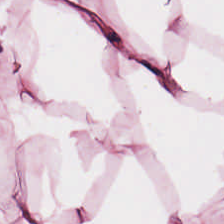Hematoxylin-and-eosin stained section. Predominantly fat tissue.
